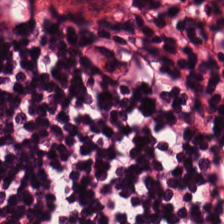H&E stain — Tissue = lymphocytes.
